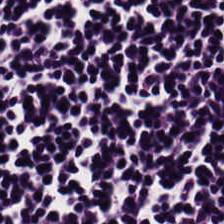0.5 µm/px · hematoxylin and eosin · 224×224 px tile — Lymphoid infiltrate.
